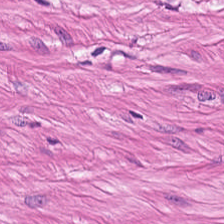H&E stain. Q: What tissue type is shown here?
A: Muscularis.
